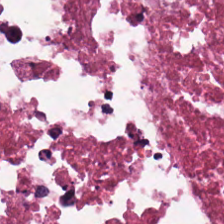Hematoxylin-and-eosin stained section · 20× equivalent magnification.
The tissue here is necrotic debris.
